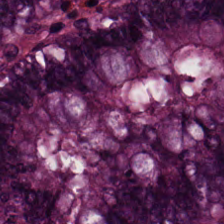Predominant tissue — normal colonic mucosa.
